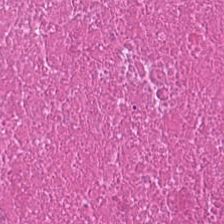The tissue here is debris.
